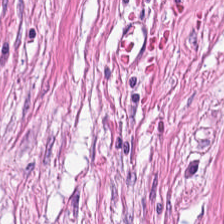224×224 px patch. 20× equivalent magnification. H&E.
Q: What type of tissue is this?
A: This is tumor stroma.
